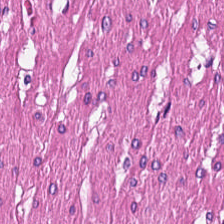Impression → smooth-muscle tissue.
